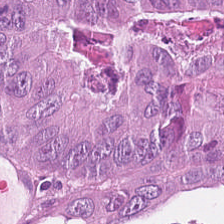Tissue type = colorectal adenocarcinoma epithelium.
